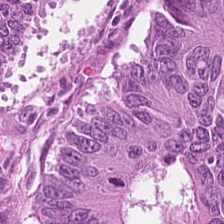Whole-slide-image patch; hematoxylin and eosin; 0.5 microns per pixel. Predominantly adenocarcinoma.
